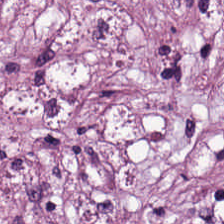H&E-stained section; the field shows cancer-associated stroma.
